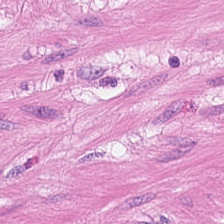Q: What tissue type is shown here?
A: Smooth muscle.
